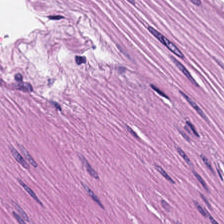0.5 µm per pixel; hematoxylin-and-eosin stained section — Predominantly smooth muscle.
